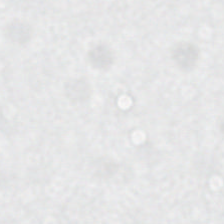FFPE; hematoxylin-and-eosin stained section. Finding → background.
